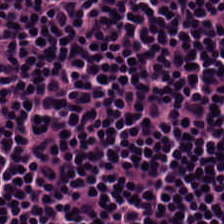H&E stain · formalin-fixed paraffin-embedded section. Histology → lymphocytes.
